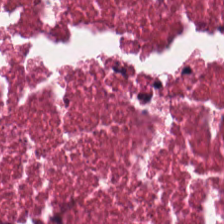Stain: H&E stain.
Tissue type: debris.
